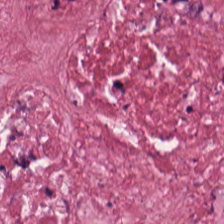H&E · formalin-fixed paraffin-embedded section · brightfield microscopy — Predominantly tumor-associated stroma.
